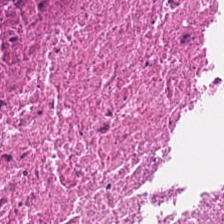Hematoxylin-and-eosin section: cellular debris.
